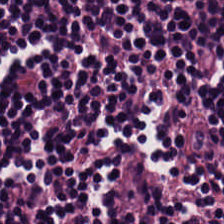Hematoxylin and eosin — {"tissue_type": "lymphocyte aggregate"}
